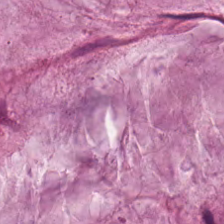Impression → mucin.
